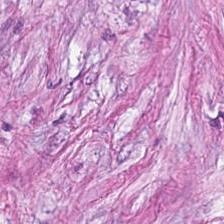H&E-stained tissue section. WSI patch. Tissue type: tumor stroma.
